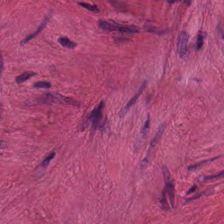H&E stain — Q: What is the predominant tissue type?
A: This is smooth-muscle tissue.
